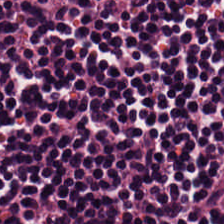H&E — lymphocytes.
